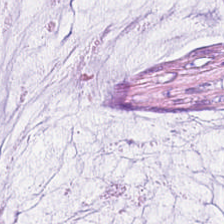Hematoxylin-and-eosin stained section. Showing mucus.
